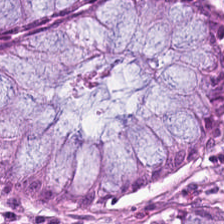H&E stain. 224×224 px patch. WSI patch.
The predominant tissue is normal colonic mucosa.
